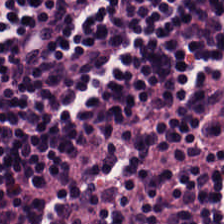Tissue type = lymphocyte aggregate.
